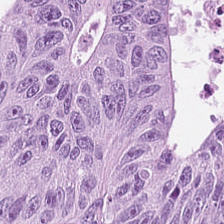H&E — adenocarcinoma.
